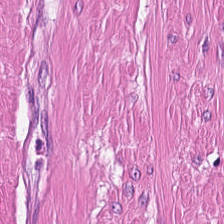H&E stain. Predominant tissue: muscularis.
